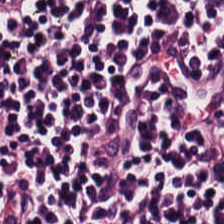224×224 px patch. Hematoxylin and eosin — The tissue here is lymphocytes.
